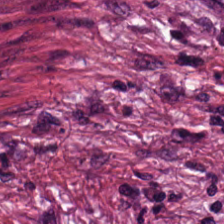H&E patch showing tumor-associated stroma.
